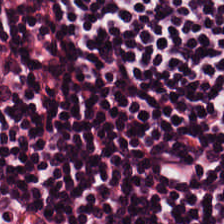0.5 µm per pixel; H&E-stained tissue section. Lymphocytic infiltrate.
